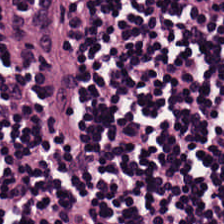Histology → lymphocytic infiltrate.
